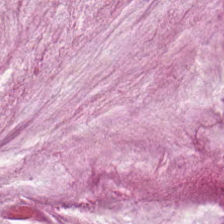H&E-stained tissue section.
Q: What tissue type is shown here?
A: The field shows mucin.
